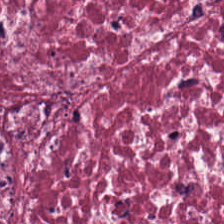H&E stain — Classification = cancer-associated stroma.
